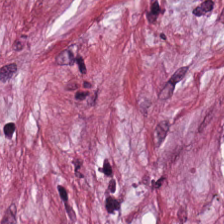0.5 microns per pixel · 224×224 pixel tile · hematoxylin-and-eosin stained section — {"tissue_type": "tumor stroma"}
